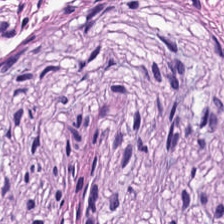Whole-slide-image patch · H&E-stained tissue section. The predominant tissue is muscularis.
